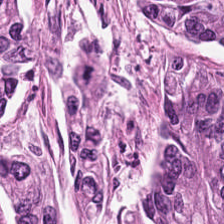Hematoxylin-and-eosin stained section. Q: What type of tissue is this?
A: This is colorectal adenocarcinoma.
